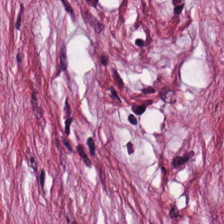Hematoxylin-and-eosin stained section — This field is cancer-associated stroma.
